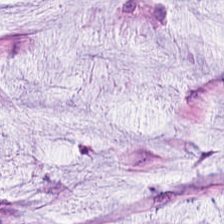Hematoxylin-and-eosin stained section — Classification — mucus.
